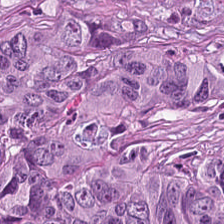Hematoxylin and eosin.
Tissue — colorectal adenocarcinoma epithelium.
